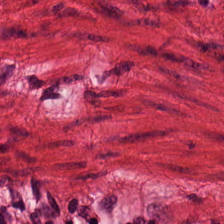H&E-stained section; the field shows smooth-muscle tissue.
